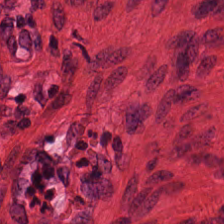Stain: hematoxylin and eosin.
Tissue class: smooth-muscle tissue.
